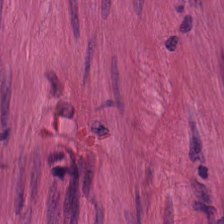Stain: H&E stain.
Classification: smooth-muscle tissue.
